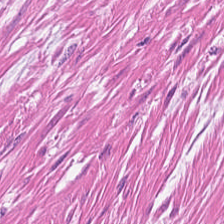Formalin-fixed paraffin-embedded section · H&E-stained tissue section — Finding → smooth muscle.
